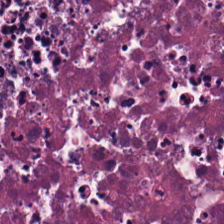224×224 pixel tile; 20× equivalent magnification; H&E. The tissue here is necrotic debris.
